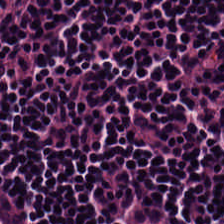Brightfield microscopy. Hematoxylin and eosin.
Histology — lymphoid infiltrate.
